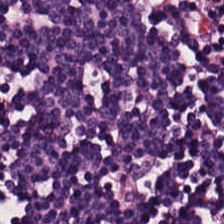The tissue here is lymphocyte aggregate.
